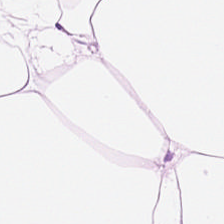Hematoxylin-and-eosin stained section. Q: What type of tissue is this?
A: This is fat tissue.
